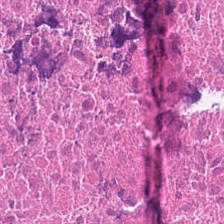Whole-slide-image patch · hematoxylin-and-eosin stained section.
Q: Classify this patch.
A: It is cellular debris.
